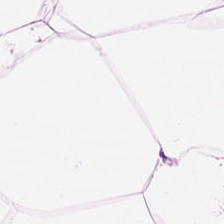H&E. Showing fat tissue.
